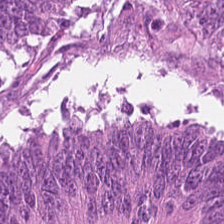H&E.
Tissue type: colorectal adenocarcinoma epithelium.
